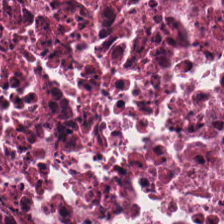0.5 µm/px. 224×224 pixel tile. H&E.
Q: What is shown here?
A: The field shows debris.
